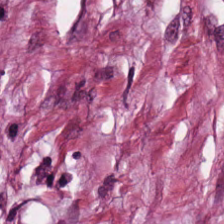Hematoxylin and eosin · whole-slide-image patch · 224×224 px tile. Q: What does this patch show?
A: This is tumor stroma.
